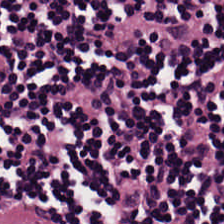Hematoxylin-and-eosin stained section. Predominant tissue — lymphocytes.
